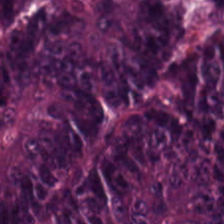224×224 px tile; H&E stain.
Q: What does this patch show?
A: Colorectal adenocarcinoma epithelium.
